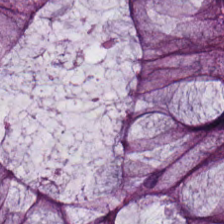Tissue type — benign colonic mucosa.
